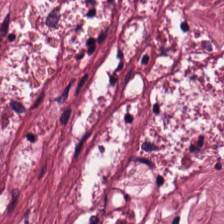224×224 px patch · H&E-stained tissue section.
Finding → tumor-associated stroma.
